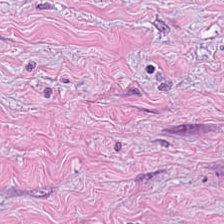Tissue: tumor stroma.
